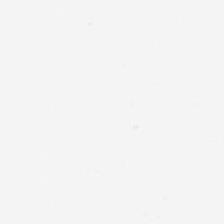This patch shows no tissue.
